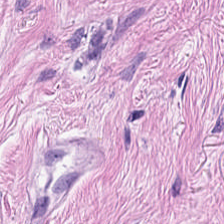FFPE. H&E-stained tissue section — Tissue class = cancer-associated stroma.
